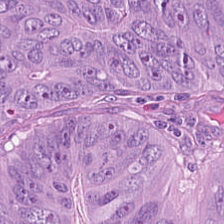The classification is adenocarcinoma.
